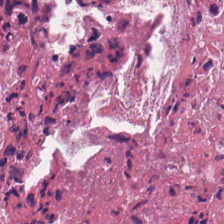Whole-slide-image patch. Hematoxylin and eosin. Formalin-fixed paraffin-embedded section. Q: What type of tissue is this?
A: It is cellular debris.
